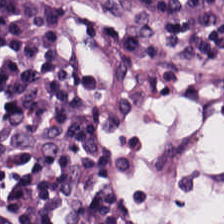H&E stain — Tissue class — lymphocytic infiltrate.
